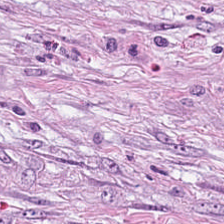H&E. Showing cancer-associated stroma.
